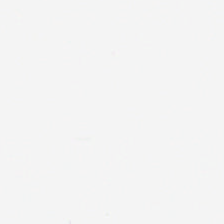H&E.
Classification — no tissue.
